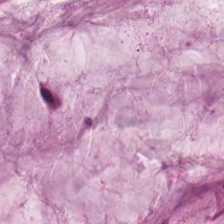224×224 pixel tile. H&E. Brightfield microscopy — Histology — mucus.
